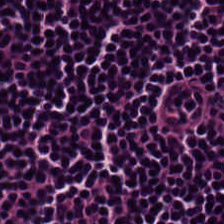Classification = lymphocyte aggregate.
